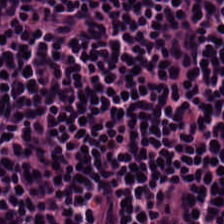Hematoxylin and eosin — This patch shows lymphocyte aggregate.
